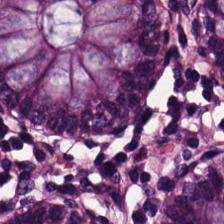H&E — The classification is normal colonic mucosa.
